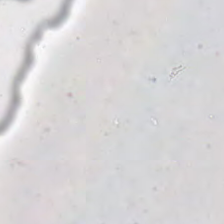Hematoxylin-and-eosin stained section. WSI patch.
Empty field — no tissue.
